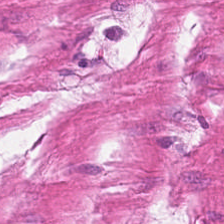Hematoxylin and eosin. 224×224 px patch. Q: What tissue type is shown here?
A: It is smooth-muscle tissue.
